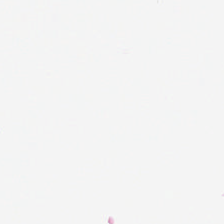224×224 pixel tile. Hematoxylin and eosin. FFPE.
Classification = background.
